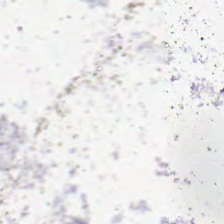Brightfield microscopy · hematoxylin and eosin — Content — background (no tissue).
